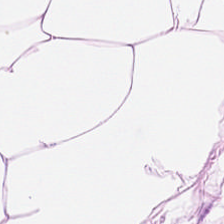H&E stain; 0.5 µm/px. {"tissue_type": "adipose tissue"}
